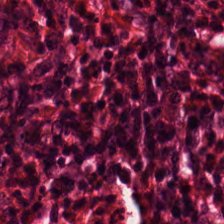Q: What is the predominant tissue type?
A: It is normal colon mucosa.
